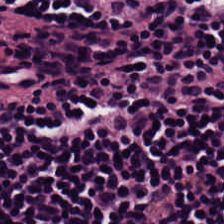H&E stain · 0.5 µm per pixel. The predominant tissue is lymphocytic infiltrate.
